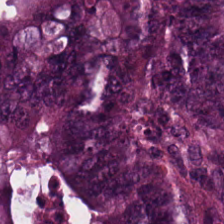Formalin-fixed paraffin-embedded section · WSI patch · H&E-stained tissue section.
Tissue = adenocarcinoma.
